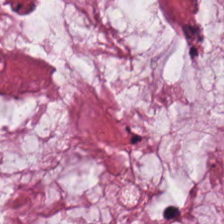H&E-stained tissue section · FFPE. Showing extracellular mucin.
